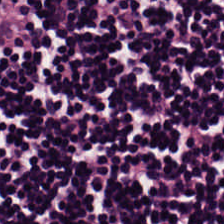H&E.
The predominant tissue is lymphocytes.
